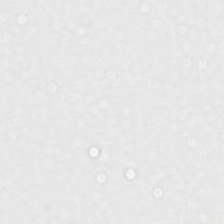The field content is no tissue.
